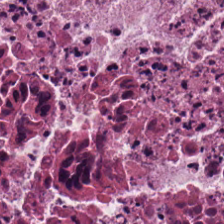H&E-stained tissue section; brightfield. Finding → cellular debris.
